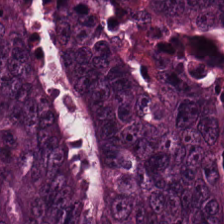Hematoxylin and eosin.
Q: What is the predominant tissue type?
A: It is colorectal adenocarcinoma epithelium.
